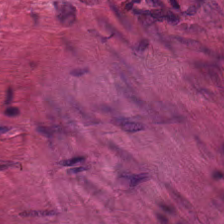H&E — muscularis.
